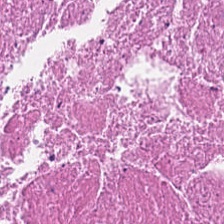H&E-stained tissue section — {"tissue_type": "cellular debris"}
